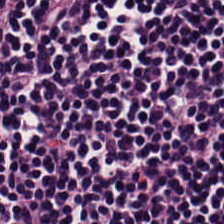Hematoxylin-and-eosin stained section · 224×224 pixel tile — Showing lymphocytes.
